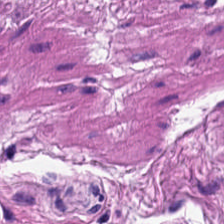Hematoxylin-and-eosin stained section.
Predominantly muscularis.
